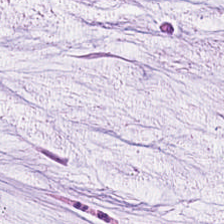Hematoxylin-and-eosin stained section · 224×224 pixel tile — Showing extracellular mucin.
